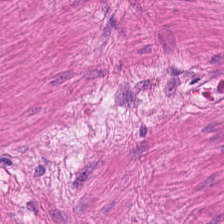H&E-stained tissue section. Tissue class: smooth muscle.
